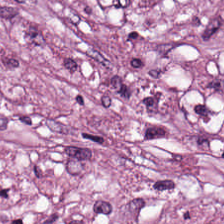Stain: hematoxylin-and-eosin stained section.
Acquisition: brightfield.
Tissue: desmoplastic stroma.
